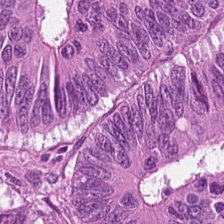Q: What does this patch show?
A: This is tumor epithelium.
